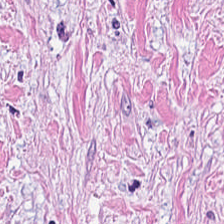H&E stain.
Q: What type of tissue is this?
A: Desmoplastic stroma.
